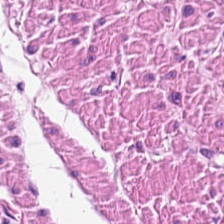H&E stain. Impression → smooth muscle.
